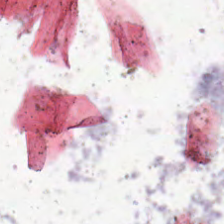Hematoxylin and eosin. Impression — empty background.
